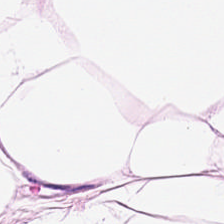Impression → adipocytes.
